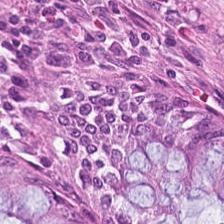Hematoxylin and eosin.
Normal colon mucosa.
